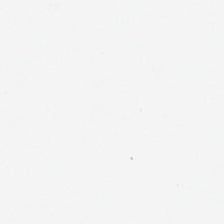H&E-stained tissue section.
This field is background (no tissue).
